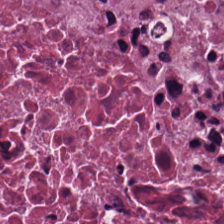FFPE tissue section · H&E stain. The predominant tissue is cellular debris.
